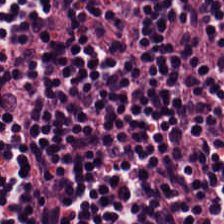H&E · brightfield microscopy.
Histology → lymphocyte aggregate.
